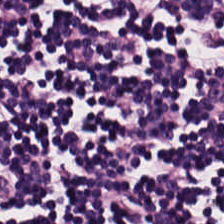Lymphocyte aggregate.
